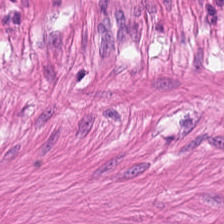224×224 px patch; hematoxylin-and-eosin stained section. Histology → smooth muscle.
